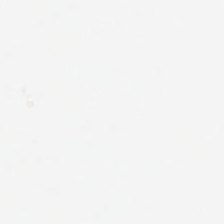H&E-stained tissue section. This patch shows background.
